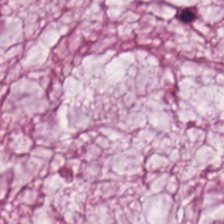FFPE; H&E — This field is mucus.
